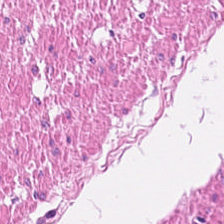Formalin-fixed paraffin-embedded section · hematoxylin-and-eosin stained section. {"tissue_type": "smooth-muscle tissue"}
